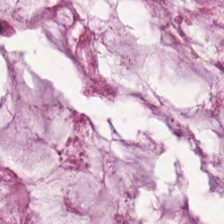H&E stain. Tissue type = mucin.
